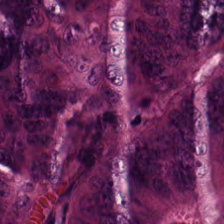This patch shows tumor epithelium.
